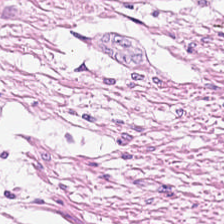H&E-stained section; the field shows smooth muscle.
